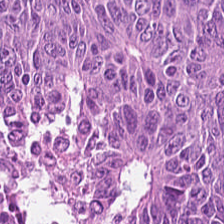Classification: colorectal adenocarcinoma.
